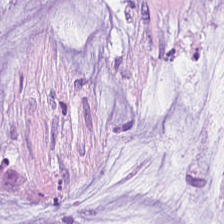Formalin-fixed paraffin-embedded section; 224×224 pixel tile; H&E-stained tissue section. Classification: extracellular mucin.
